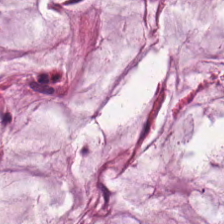The tissue type is mucin.
